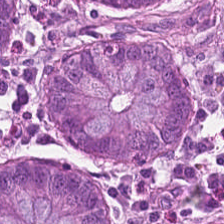H&E stain · 224×224 pixel tile.
The predominant tissue is normal colonic mucosa.
